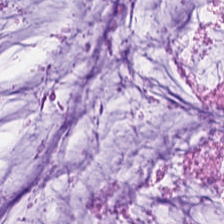0.5 µm per pixel · hematoxylin and eosin · 224×224 px patch. Q: What type of tissue is this?
A: The field shows extracellular mucin.
